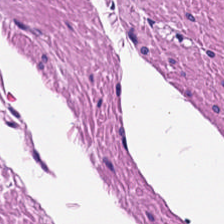224×224 px patch; hematoxylin and eosin.
This field is muscularis.
